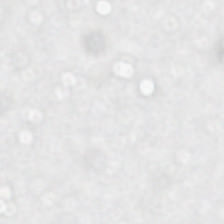H&E stain — Q: What is shown here?
A: This is background.
